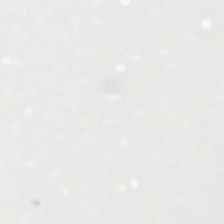Brightfield microscopy. Hematoxylin and eosin — Q: What is shown in this field?
A: This is no tissue.
